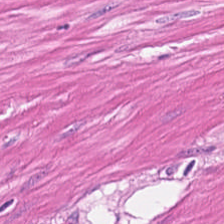Brightfield microscopy. 224×224 pixel tile. H&E — Showing smooth-muscle tissue.
